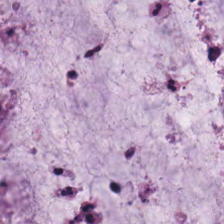Hematoxylin-and-eosin stained section. FFPE tissue section — Extracellular mucin.
